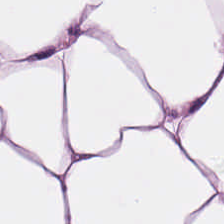Stain: H&E stain.
Tissue class: fat tissue.
